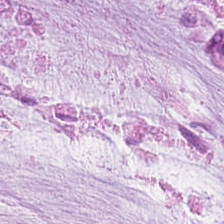H&E stain.
The tissue here is mucin.
